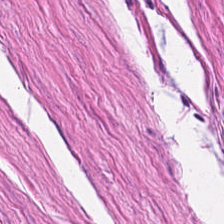Hematoxylin and eosin.
{"tissue_type": "muscularis"}
